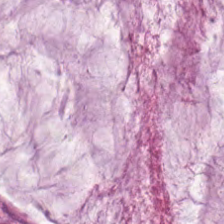{"tissue_type": "extracellular mucin"}
